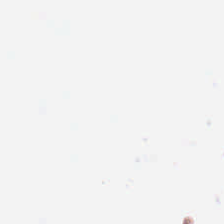Stain: H&E-stained tissue section.
Classification: background (no tissue).
